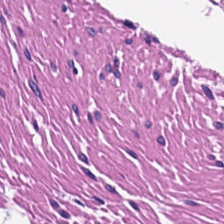Stain: H&E-stained tissue section.
Tissue type: smooth muscle.
